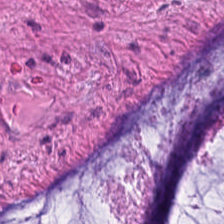Stain: hematoxylin-and-eosin stained section.
Tissue type: mucus.
